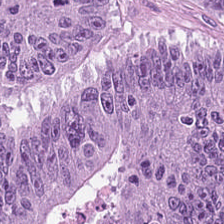H&E.
The tissue here is tumor epithelium.
